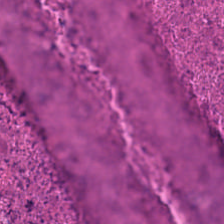H&E stain.
Classification = debris.
